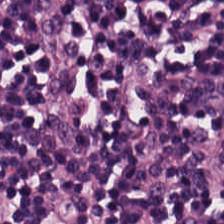Hematoxylin-and-eosin stained section. Histology → lymphoid infiltrate.
